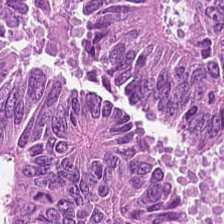Q: What is the predominant tissue type?
A: This is adenocarcinoma.
